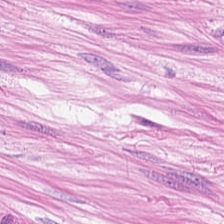H&E · 224×224 px patch.
Q: What is shown here?
A: Smooth muscle.
